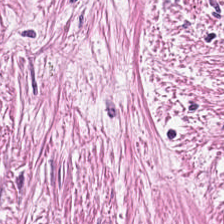Hematoxylin-and-eosin stained section · formalin-fixed paraffin-embedded section — Showing cancer-associated stroma.
